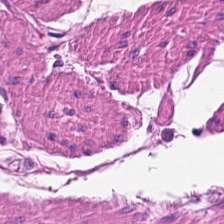{"tissue_type": "smooth muscle"}
